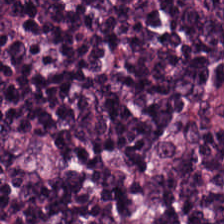Stain: hematoxylin-and-eosin stained section.
Preparation: formalin-fixed paraffin-embedded section.
Tissue: lymphocyte aggregate.
